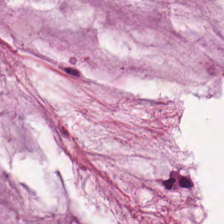Brightfield microscopy. Hematoxylin-and-eosin stained section — This patch shows mucus.
